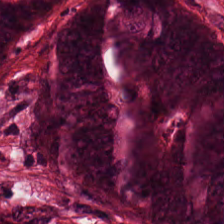H&E — Histology → adenocarcinoma.
